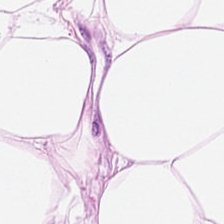{"tissue_type": "adipose"}
